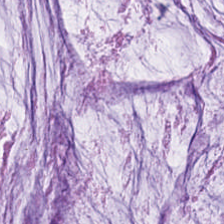H&E.
Q: Classify this patch.
A: It is mucin.
